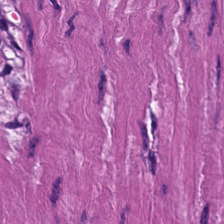H&E-stained section; the field shows smooth muscle.
